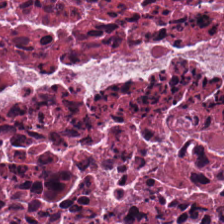H&E stain; 0.5 µm/px — Finding — debris.
